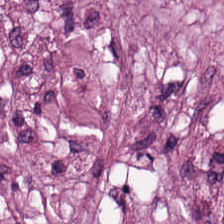Hematoxylin-and-eosin section: cancer-associated stroma.
